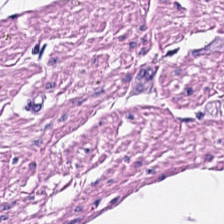Showing smooth-muscle tissue.
